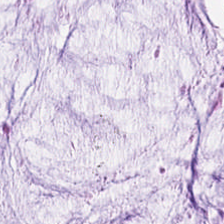Formalin-fixed paraffin-embedded section. H&E — Histology → extracellular mucin.
